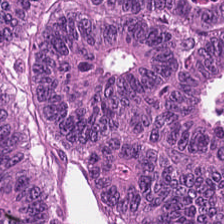H&E-stained tissue section showing malignant epithelium.
